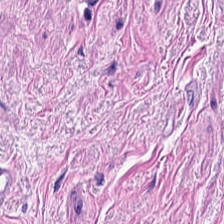This field is muscularis.
